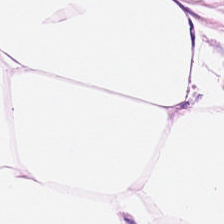Formalin-fixed paraffin-embedded section. 0.5 µm/px. H&E. This field is adipocytes.
